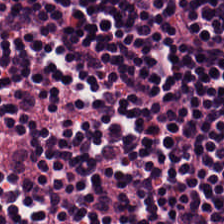H&E.
The tissue here is lymphoid infiltrate.
